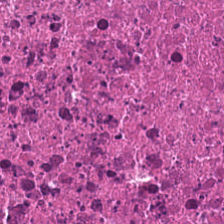Hematoxylin-and-eosin stained section — Tissue class: cellular debris.
